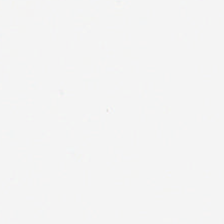Hematoxylin-and-eosin stained section. FFPE. 20× equivalent magnification — Finding → background.
